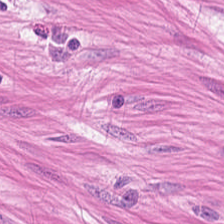Stain: H&E.
Tile size: 224×224 px patch.
Tissue: muscularis.
